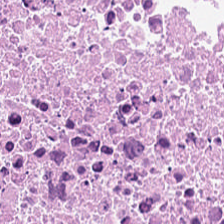The tissue is necrotic debris.
